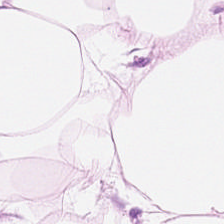Finding → fat tissue.
